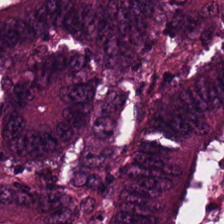H&E stain · 224×224 pixel tile — Classification — tumor epithelium.
